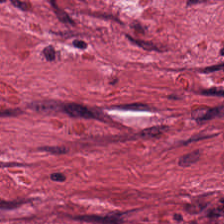Tissue = tumor stroma.
